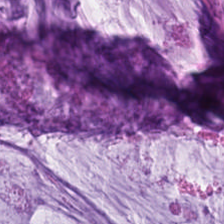Impression — extracellular mucin.
